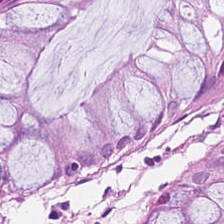Tissue class — normal colon mucosa.
